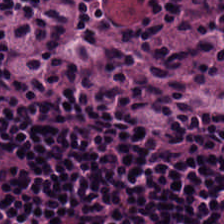FFPE. H&E.
Histology — lymphocytes.
